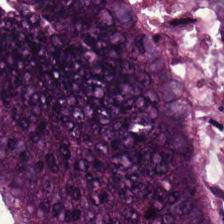Stain: hematoxylin-and-eosin stained section.
Acquisition: WSI patch.
Predominant tissue: colorectal adenocarcinoma epithelium.
